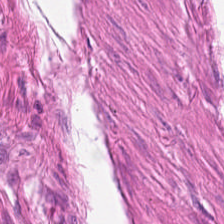Hematoxylin and eosin; WSI patch — Predominantly smooth muscle.
